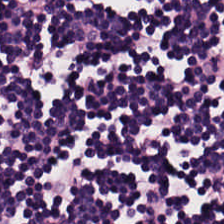Hematoxylin-and-eosin stained section. 0.5 µm/px. Tissue type: lymphocytes.
